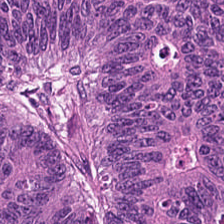Stain: hematoxylin and eosin.
Predominant tissue: colorectal adenocarcinoma epithelium.
